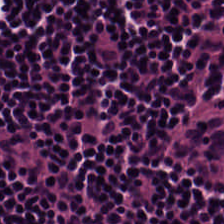This field is lymphoid infiltrate.
